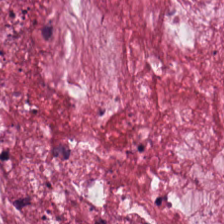H&E stain. FFPE.
The tissue here is mucus.
